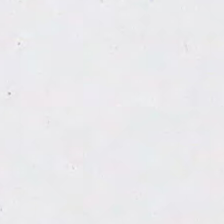H&E — Empty field — background.
